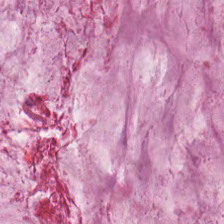Stain: hematoxylin and eosin.
Tile size: 224×224 px patch.
Preparation: formalin-fixed paraffin-embedded section.
Tissue type: mucin.
